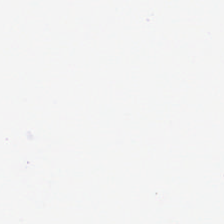Stain: hematoxylin-and-eosin stained section.
Preparation: FFPE tissue section.
Tile size: 224×224 pixel tile.
Content: no tissue.
